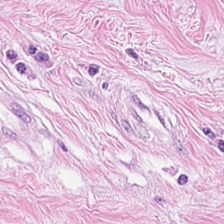H&E stain. Q: What does this patch show?
A: The field shows tumor stroma.
